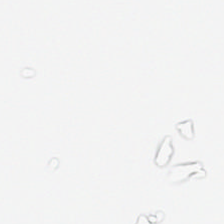Field content = empty background.
